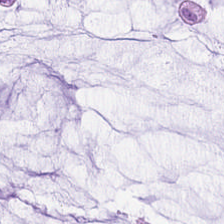Q: What type of tissue is this?
A: This is mucus.
